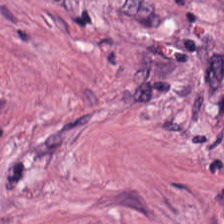The tissue class is tumor stroma.
